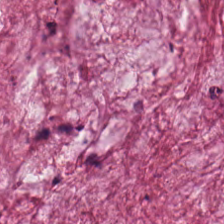20× equivalent magnification · brightfield · H&E. Q: What type of tissue is this?
A: It is mucus.
